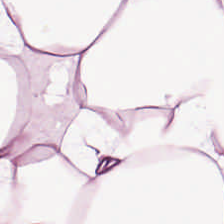Formalin-fixed paraffin-embedded section; H&E stain — Finding → adipose tissue.
